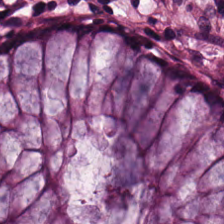FFPE tissue section · hematoxylin and eosin. The predominant tissue is benign colonic mucosa.
